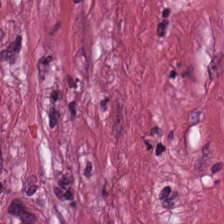224×224 pixel tile; H&E-stained tissue section; FFPE — The tissue class is desmoplastic stroma.
